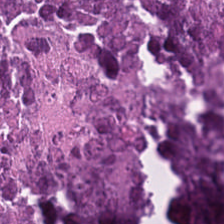H&E-stained tissue section.
Debris.
